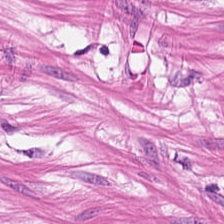H&E-stained tissue section.
Q: What is shown in this field?
A: This is smooth muscle.
